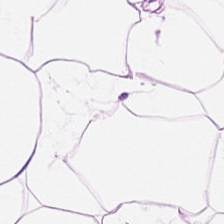H&E.
Predominantly fat tissue.
